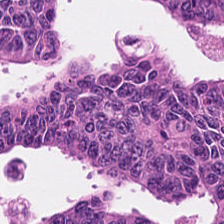0.5 microns per pixel; hematoxylin and eosin; 224×224 px patch — Tissue class — colorectal adenocarcinoma epithelium.
